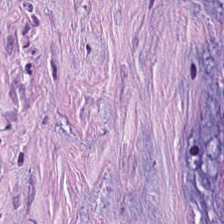The tissue here is desmoplastic stroma.
